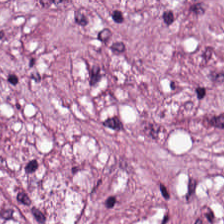Desmoplastic stroma.
